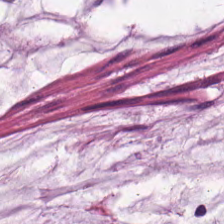H&E stain.
{"tissue_type": "mucin"}
